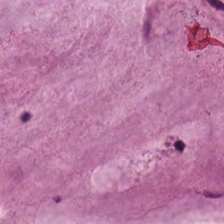H&E stain. The tissue here is mucus.
